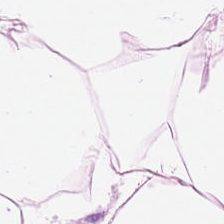H&E stain — Q: Classify this patch.
A: The field shows adipose tissue.
